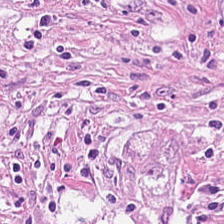H&E-stained section; the field shows desmoplastic stroma.
